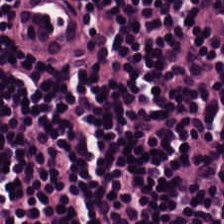H&E — lymphocytes.
